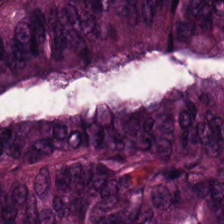20× equivalent magnification; H&E-stained tissue section.
Classification: tumor epithelium.
